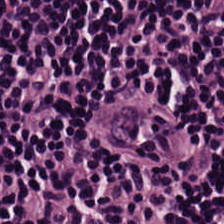Brightfield; hematoxylin-and-eosin stained section.
Tissue: lymphocytic infiltrate.
